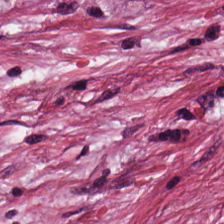H&E; 224×224 px tile — Finding — desmoplastic stroma.
